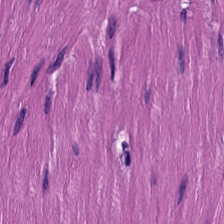H&E stain.
Smooth muscle.
